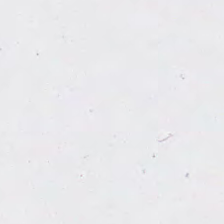Hematoxylin and eosin — Content: background.
